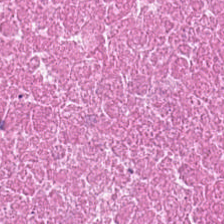H&E stain. Brightfield — Tissue type — debris.
